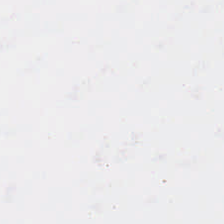20× equivalent magnification · H&E. This field is background (no tissue).
